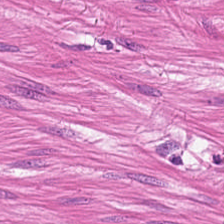Hematoxylin and eosin.
{"tissue_type": "smooth-muscle tissue"}
